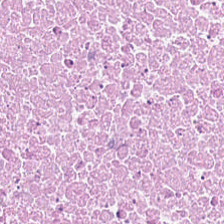0.5 µm per pixel · H&E stain.
The tissue is necrotic debris.
